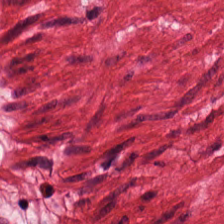H&E. The tissue here is smooth muscle.
